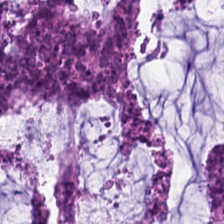Finding → mucus.
